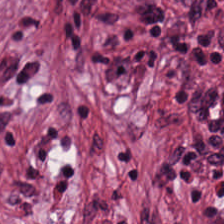Histology → desmoplastic stroma.
